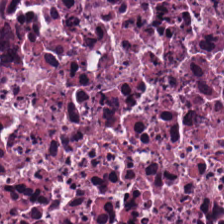Q: What tissue is shown?
A: This is cellular debris.
